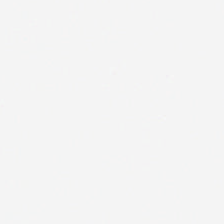Hematoxylin and eosin.
Q: What is shown in this field?
A: Empty background.
